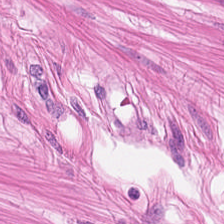Finding — smooth-muscle tissue.
